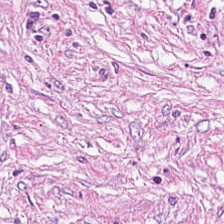H&E-stained tissue section. FFPE tissue section. Classification — cancer-associated stroma.
